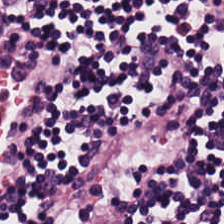Predominantly lymphocytes.
